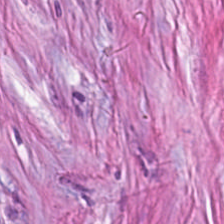H&E stain; whole-slide-image patch; 224×224 pixel tile — Tissue class = tumor stroma.
